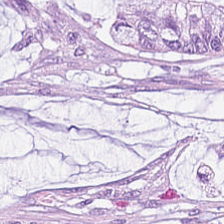Stain: hematoxylin-and-eosin stained section.
Classification: mucus.
